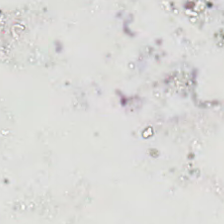No tissue present; background only.
